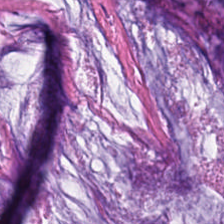H&E. 0.5 µm/px. {"tissue_type": "extracellular mucin"}
